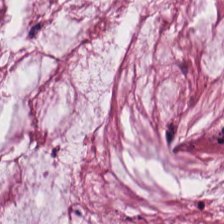Stain: H&E stain.
Tissue class: extracellular mucin.
